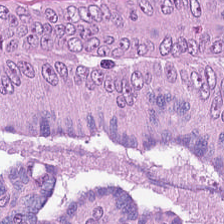224×224 pixel tile; H&E stain.
Predominant tissue — tumor epithelium.
